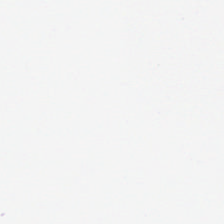224×224 px tile. H&E-stained tissue section. FFPE tissue section — Field content — background (no tissue).
